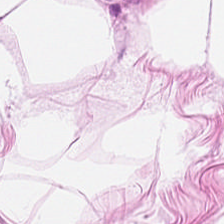H&E stain.
Showing fat tissue.
